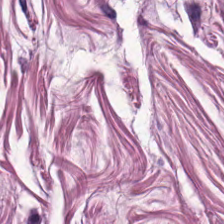H&E stain.
Predominantly smooth-muscle tissue.
